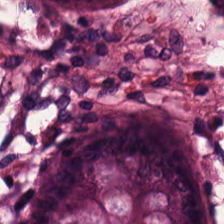H&E; 224×224 pixel tile — Non-neoplastic colon mucosa.
